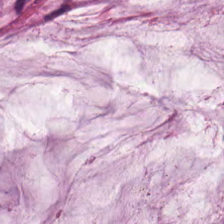H&E.
This patch shows mucus.
